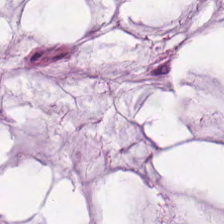H&E-stained tissue section. FFPE tissue section.
{"tissue_type": "mucus"}
